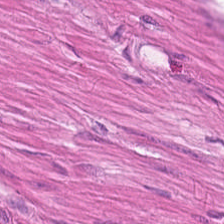Formalin-fixed paraffin-embedded section · 0.5 µm per pixel · H&E — This patch shows smooth muscle.
